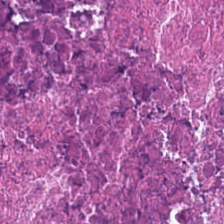{"tissue_type": "debris"}
